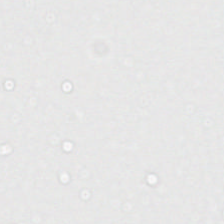0.5 µm per pixel. WSI patch. H&E. Q: Classify this patch.
A: This is background (no tissue).
